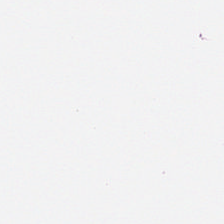H&E stain — Classification — no tissue.
